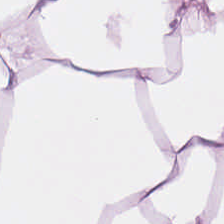Hematoxylin and eosin.
Histology — fat tissue.
